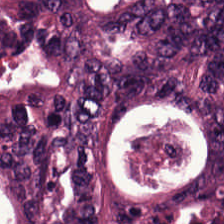H&E · 0.5 microns per pixel. Histology — adenocarcinoma.
